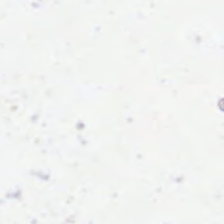Background — no tissue in this field.
